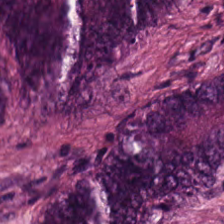This patch shows malignant epithelium.
